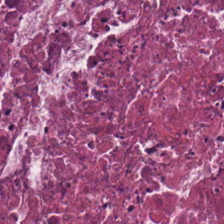WSI patch. Hematoxylin-and-eosin stained section. 20× equivalent magnification — This field is cellular debris.
